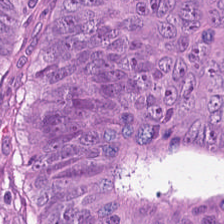Adenocarcinoma.
